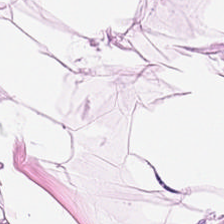Histology — adipose.
